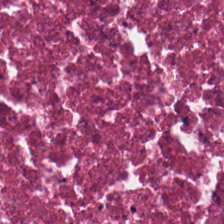H&E stain.
Tissue = debris.
